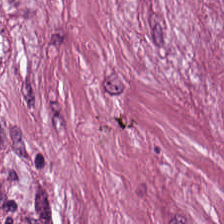Brightfield. Hematoxylin-and-eosin stained section. The predominant tissue is cancer-associated stroma.
